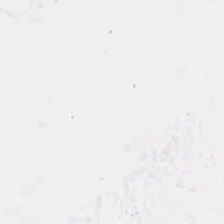H&E — This patch shows no tissue.
